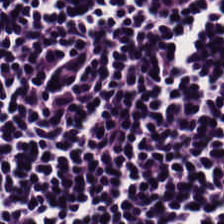224×224 px tile. Hematoxylin and eosin. This field is lymphocyte aggregate.
